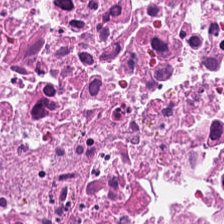Stain: H&E stain.
Tissue class: cellular debris.
